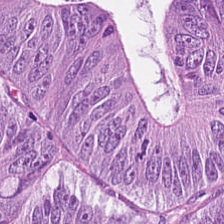224×224 px patch · H&E-stained tissue section · FFPE tissue section.
Q: Identify the tissue.
A: This is colorectal adenocarcinoma epithelium.
